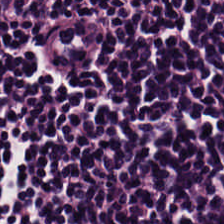H&E-stained tissue section. Tissue class — lymphocytes.
